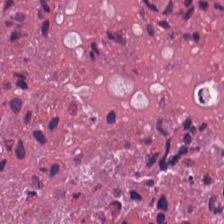Q: What is the predominant tissue type?
A: It is necrotic debris.
